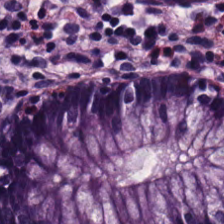Q: Classify this patch.
A: It is non-neoplastic colon mucosa.
